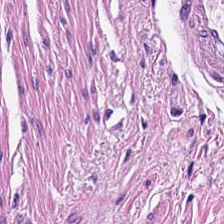H&E stain — Predominantly muscularis.
